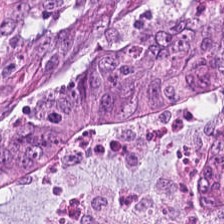Brightfield microscopy. 20× equivalent magnification. Hematoxylin and eosin — Tissue — colorectal adenocarcinoma epithelium.
